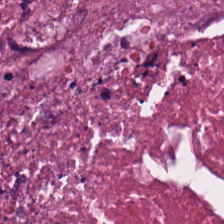Brightfield. Hematoxylin-and-eosin stained section.
{"tissue_type": "cellular debris"}
